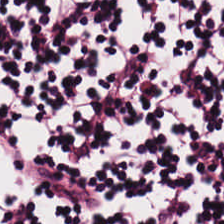Predominantly lymphoid infiltrate.
